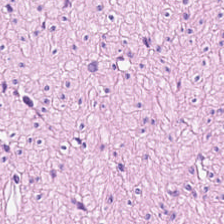H&E — The tissue here is smooth muscle.
